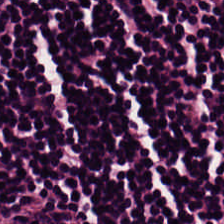Hematoxylin-and-eosin stained section.
Q: What tissue is shown?
A: The field shows lymphocytic infiltrate.
